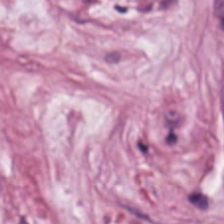FFPE tissue section; H&E-stained tissue section. Finding → cancer-associated stroma.
